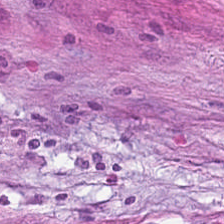Q: What does this patch show?
A: The field shows cancer-associated stroma.
